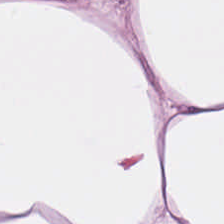Whole-slide-image patch. FFPE tissue section. Hematoxylin-and-eosin stained section.
Q: What is shown here?
A: Adipose tissue.
